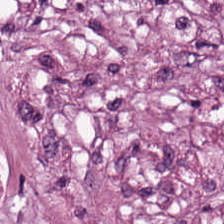H&E-stained tissue section — The tissue class is desmoplastic stroma.
